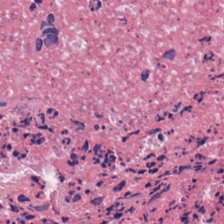Stain: H&E.
Preparation: formalin-fixed paraffin-embedded section.
Predominant tissue: debris.
